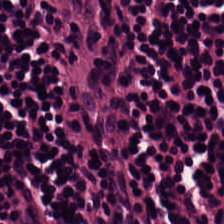Hematoxylin and eosin · whole-slide-image patch. This patch shows lymphoid infiltrate.
